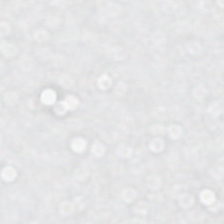0.5 µm per pixel. H&E.
Classification — background (no tissue).
